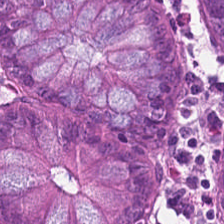0.5 µm per pixel. 224×224 pixel tile. Hematoxylin and eosin — {"tissue_type": "benign colonic mucosa"}
